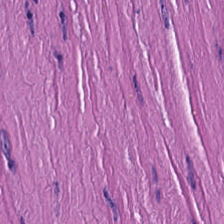H&E — {"tissue_type": "smooth-muscle tissue"}
